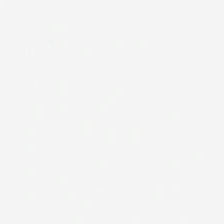Hematoxylin and eosin. Histology → background.
